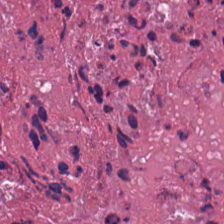This patch shows debris.
